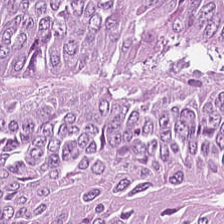Hematoxylin-and-eosin stained section · 0.5 µm/px.
Tissue type = adenocarcinoma.
